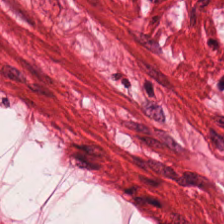H&E. The tissue here is smooth muscle.
